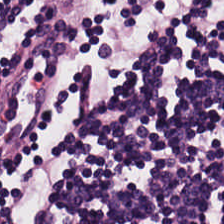Stain: hematoxylin-and-eosin stained section.
Acquisition: brightfield microscopy.
Classification: lymphocytes.
